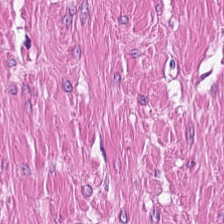H&E-stained tissue section — Tissue — smooth-muscle tissue.
